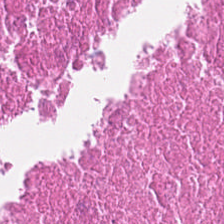Stain: hematoxylin and eosin.
Tissue: debris.
